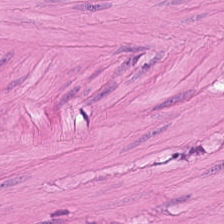H&E-stained tissue section.
The tissue here is muscularis.
